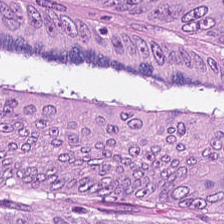Brightfield · 224×224 px patch · H&E stain. Impression → adenocarcinoma.
